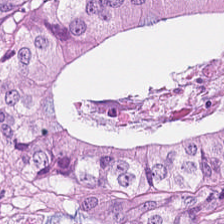Stain: H&E stain.
Classification: colorectal adenocarcinoma.
